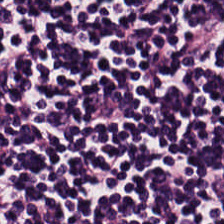The tissue type is lymphocytic infiltrate.
